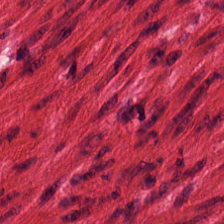Hematoxylin-and-eosin stained section. The predominant tissue is smooth muscle.
